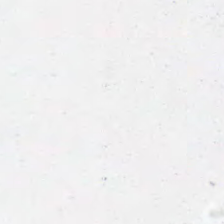0.5 µm/px; hematoxylin-and-eosin stained section — This field is background (no tissue).
